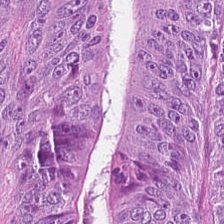H&E — The tissue here is adenocarcinoma.
